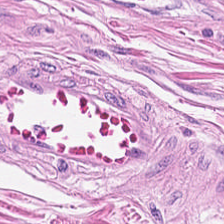Stain: hematoxylin-and-eosin stained section.
Tissue type: smooth-muscle tissue.
